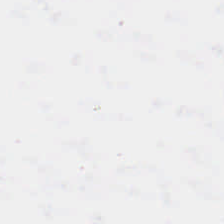H&E-stained tissue section — Classification = empty background.
